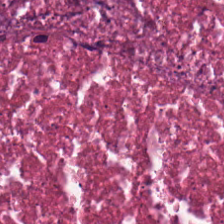H&E-stained tissue section. Tissue — necrotic debris.
